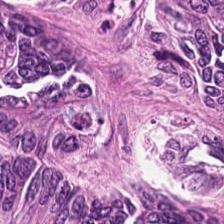H&E stain.
Finding — malignant epithelium.
